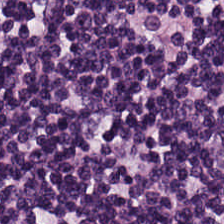0.5 microns per pixel; hematoxylin-and-eosin stained section; FFPE tissue section. The classification is lymphocytic infiltrate.
